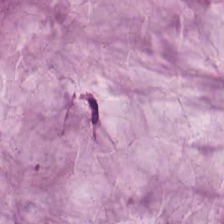Hematoxylin and eosin — {"tissue_type": "mucin"}
